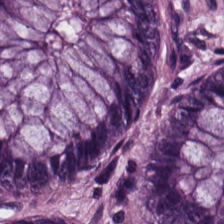Hematoxylin and eosin.
Finding — benign colonic mucosa.
